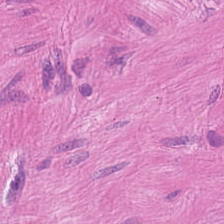Hematoxylin-and-eosin stained section. The tissue class is smooth muscle.
